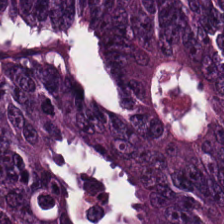Formalin-fixed paraffin-embedded section. Brightfield. Hematoxylin-and-eosin stained section. Predominant tissue — tumor epithelium.
